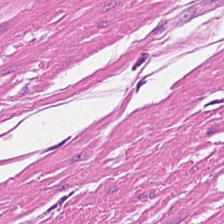Q: What type of tissue is this?
A: Smooth-muscle tissue.
